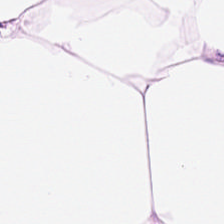H&E — fat tissue.
